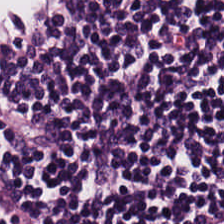0.5 microns per pixel · H&E-stained tissue section.
This field is lymphocyte aggregate.
